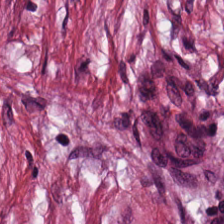Q: What tissue is shown?
A: This is tumor-associated stroma.
